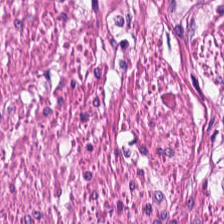The predominant tissue is smooth muscle.
